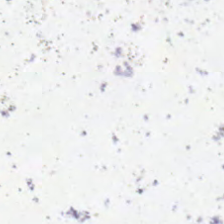This field is background (no tissue).
